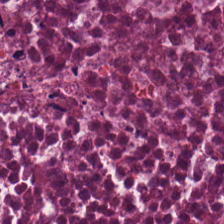H&E stain.
Impression — debris.
